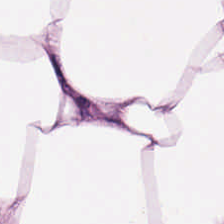H&E-stained tissue section.
Histology → adipose.
